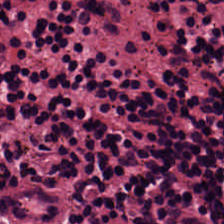Q: Identify the tissue.
A: The field shows lymphocyte aggregate.
